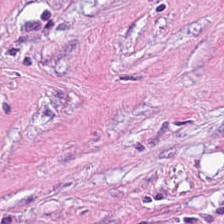Stain: hematoxylin-and-eosin stained section.
Resolution: 0.5 microns per pixel.
Tissue: tumor stroma.
